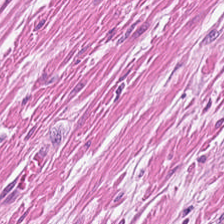FFPE tissue section. Brightfield. H&E-stained tissue section. The tissue type is muscularis.
